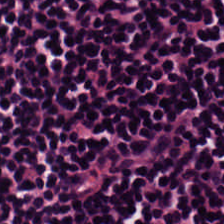Stain: hematoxylin-and-eosin stained section.
Predominant tissue: lymphocyte aggregate.
